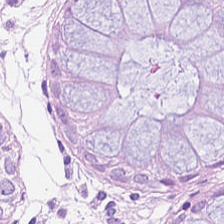Hematoxylin and eosin — Predominantly normal colon mucosa.
